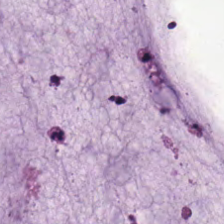Stain: hematoxylin-and-eosin stained section.
Tissue: mucus.
